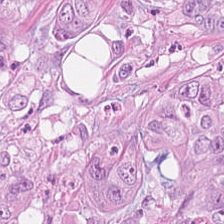Hematoxylin and eosin.
Q: What tissue is shown?
A: This is colorectal adenocarcinoma.
